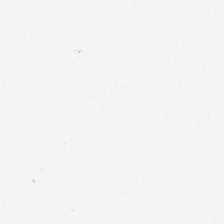Stain: H&E stain.
Field content: background.
